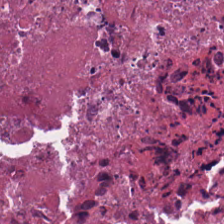224×224 pixel tile. H&E-stained tissue section. This patch shows cellular debris.
